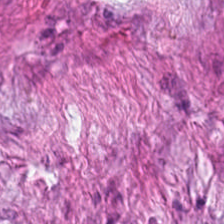FFPE tissue section. H&E — Q: What is shown here?
A: Tumor stroma.
